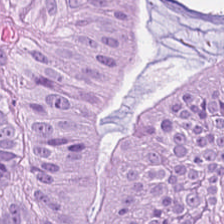Stain: H&E.
Tissue: tumor epithelium.
